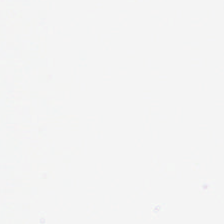Histology → no tissue.
